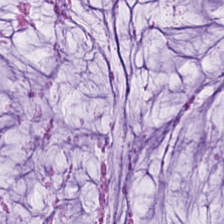The predominant tissue is mucin.
